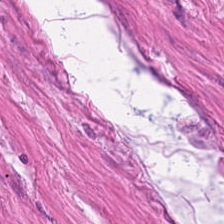Stain: hematoxylin-and-eosin stained section.
Predominant tissue: smooth-muscle tissue.
